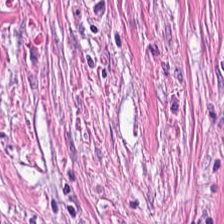Hematoxylin and eosin; WSI patch — Predominantly tumor stroma.
